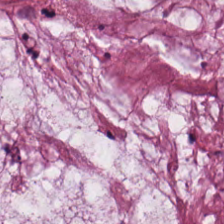Hematoxylin-and-eosin stained section · 224×224 px patch · 0.5 microns per pixel — Histology → mucus.
